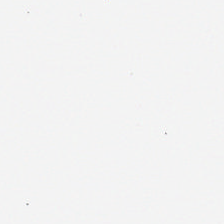Brightfield microscopy. Hematoxylin-and-eosin stained section.
Empty field — empty background.
